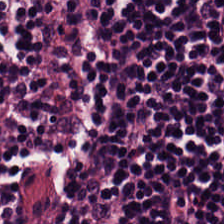224×224 pixel tile · H&E. The predominant tissue is lymphocyte aggregate.
